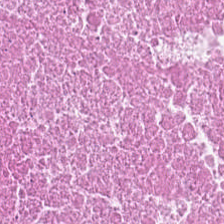Stain: hematoxylin and eosin.
Resolution: 0.5 µm/px.
Preparation: formalin-fixed paraffin-embedded section.
Tissue: necrotic debris.
